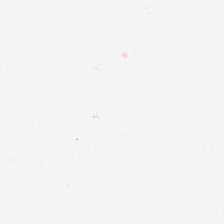Q: What is shown in this field?
A: The field shows empty background.
